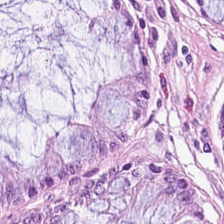224×224 px tile. H&E-stained tissue section — Tissue: normal colon mucosa.
